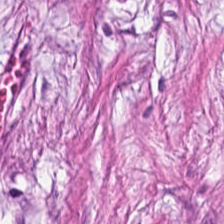Hematoxylin and eosin — This patch shows tumor stroma.
